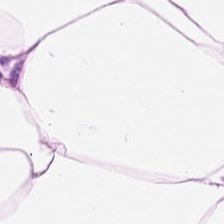0.5 µm/px. H&E-stained tissue section. Predominantly fat tissue.
